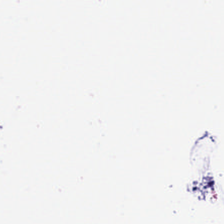Hematoxylin-and-eosin stained section; WSI patch; FFPE tissue section — This patch shows empty background.
